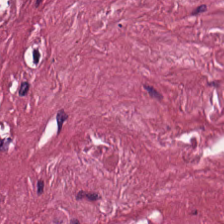H&E.
Q: Classify this patch.
A: Tumor stroma.
